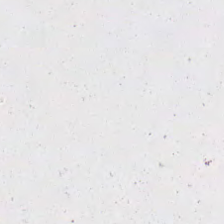The classification is background (no tissue).
